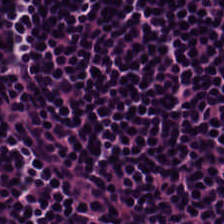Impression → lymphocytic infiltrate.
